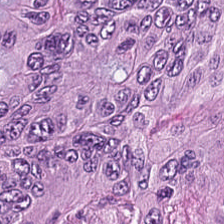H&E. The tissue type is adenocarcinoma.
